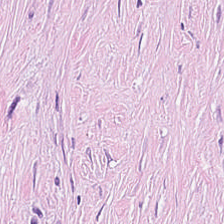FFPE tissue section. H&E — Desmoplastic stroma.
